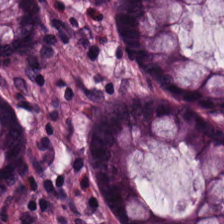Hematoxylin and eosin. Histology → normal colonic mucosa.
